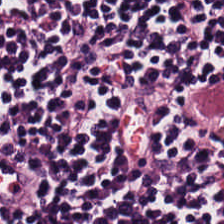Hematoxylin-and-eosin stained section; 224×224 px tile.
Q: What type of tissue is this?
A: It is lymphoid infiltrate.
